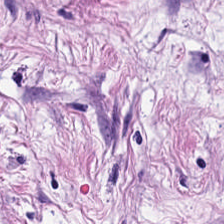Stain: H&E stain.
Tissue type: tumor-associated stroma.
